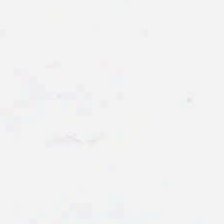H&E stain — Finding — background.
